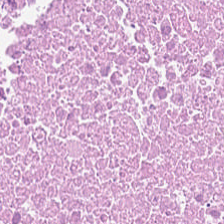H&E. Tissue class = cellular debris.
